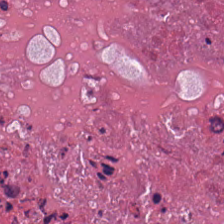H&E stain · 224×224 px patch. Predominantly debris.
